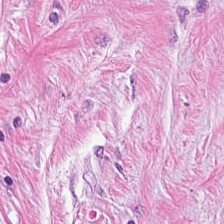Hematoxylin and eosin. FFPE. 224×224 pixel tile.
Finding — tumor-associated stroma.
